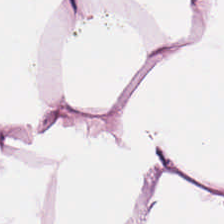WSI patch; hematoxylin-and-eosin stained section.
Q: What is the predominant tissue type?
A: Adipose.
